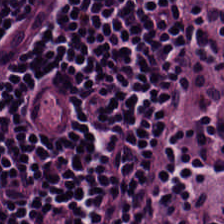Predominant tissue: lymphoid infiltrate.
